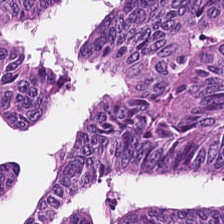Tissue type — colorectal adenocarcinoma epithelium.
